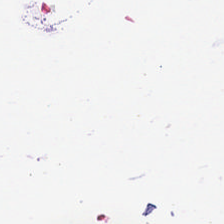H&E-stained tissue section.
{"content": "no tissue"}
